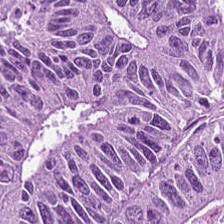Hematoxylin and eosin.
Tissue = colorectal adenocarcinoma epithelium.
